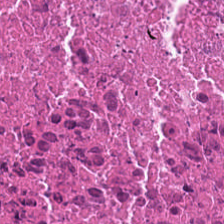Hematoxylin and eosin · 0.5 microns per pixel — Q: Classify this patch.
A: Necrotic debris.
